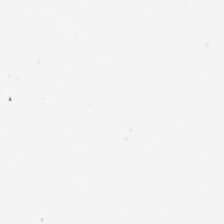224×224 px patch; 0.5 microns per pixel; hematoxylin-and-eosin stained section. The field content is background.
